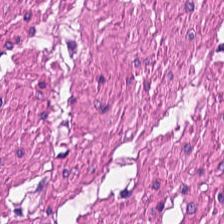The predominant tissue is smooth muscle.
